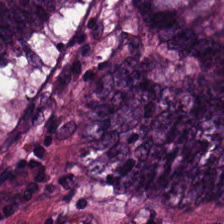Classification — malignant epithelium.
